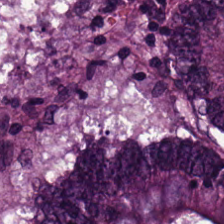Stain: H&E-stained tissue section.
Tissue class: colorectal adenocarcinoma epithelium.
